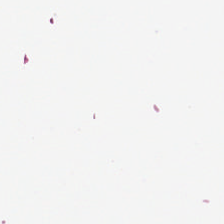H&E — Content — empty background.
